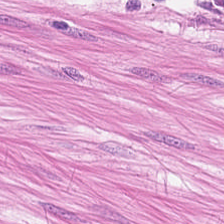H&E. 224×224 px tile. Brightfield.
Impression — smooth-muscle tissue.
